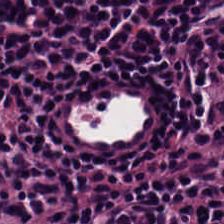Hematoxylin-and-eosin stained section.
The predominant tissue is lymphoid infiltrate.
